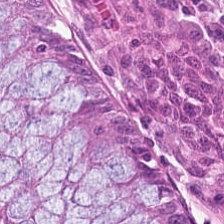Hematoxylin and eosin. Normal colon mucosa.
